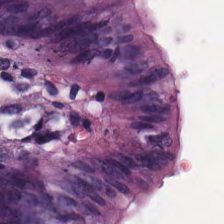H&E stain.
Predominant tissue: normal colonic mucosa.
